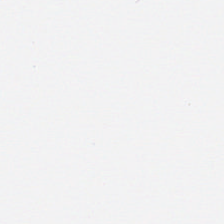Hematoxylin and eosin · 0.5 µm/px — {"content": "background"}
